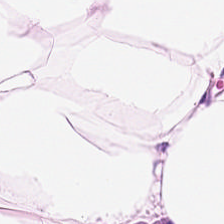Q: What is the predominant tissue type?
A: This is adipose tissue.
